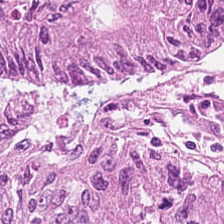Hematoxylin-and-eosin stained section.
Tissue class: colorectal adenocarcinoma epithelium.
